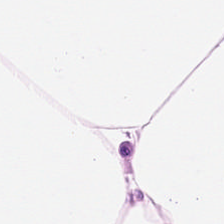Hematoxylin and eosin; WSI patch. Predominantly fat tissue.
